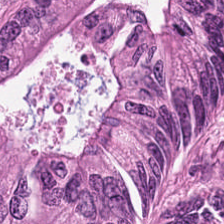Stain: hematoxylin and eosin.
Tissue: adenocarcinoma.
